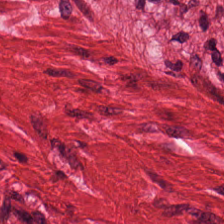Hematoxylin and eosin. Histology → smooth-muscle tissue.
